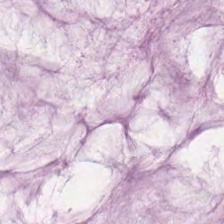H&E stain.
Q: What is shown in this field?
A: The field shows mucin.
